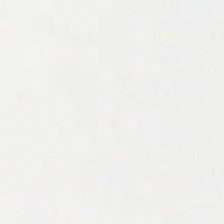Classification: background.
